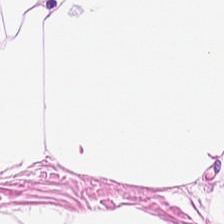H&E-stained tissue section — Q: What is shown in this field?
A: The field shows adipose tissue.
